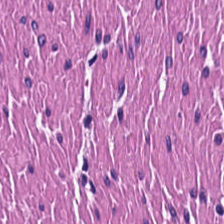Stain: hematoxylin-and-eosin stained section.
Tissue: muscularis.
